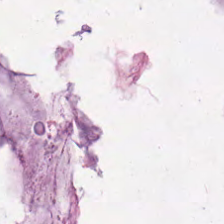Showing mucus.
